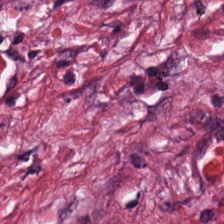0.5 microns per pixel · H&E stain.
This patch shows tumor stroma.
